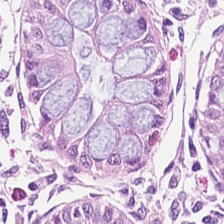Impression → benign colonic mucosa.
